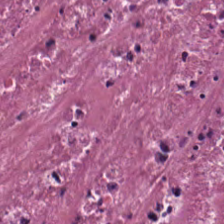Stain: hematoxylin and eosin.
Tissue class: cellular debris.
